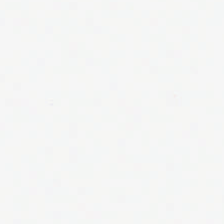Q: Classify this patch.
A: The field shows no tissue.
